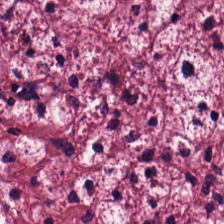H&E — This field is tumor stroma.
